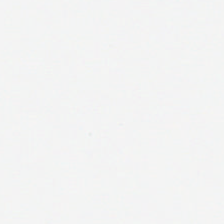H&E-stained tissue section — Background — no tissue in this field.
